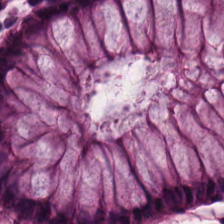Hematoxylin and eosin; formalin-fixed paraffin-embedded section. This patch shows normal colonic mucosa.
